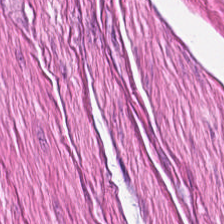FFPE; hematoxylin-and-eosin stained section. Predominant tissue = smooth muscle.
